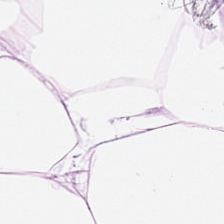Hematoxylin-and-eosin stained section.
Q: What does this patch show?
A: The field shows adipose tissue.
